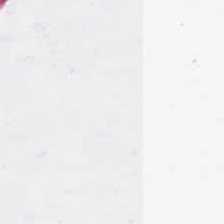Stain: hematoxylin and eosin.
Content: empty background.
